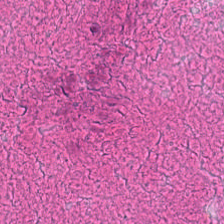FFPE tissue section; hematoxylin-and-eosin stained section; whole-slide-image patch — This field is cellular debris.
